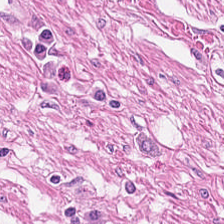Hematoxylin-and-eosin section: smooth muscle.
